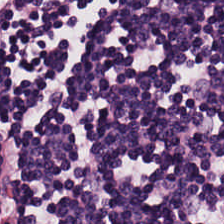Stain: hematoxylin-and-eosin stained section.
Classification: lymphoid infiltrate.
